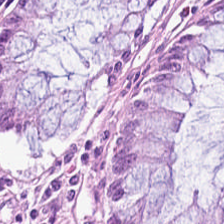Stain: H&E-stained tissue section.
Predominant tissue: normal colonic mucosa.
